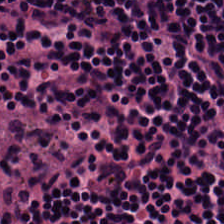H&E stain. 0.5 µm per pixel.
Tissue class — lymphocytic infiltrate.
